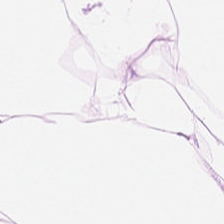224×224 px patch · H&E-stained tissue section.
This field is adipose tissue.
